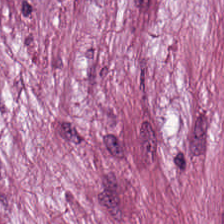Classification: cancer-associated stroma.
